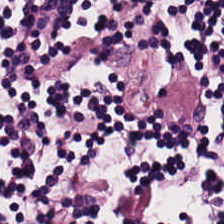224×224 px tile. H&E stain. 0.5 µm per pixel.
Predominant tissue: lymphocyte aggregate.
